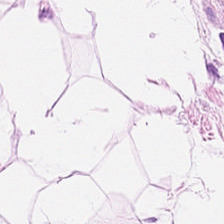Fat tissue.
